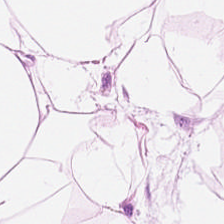H&E-stained section; the field shows adipocytes.
